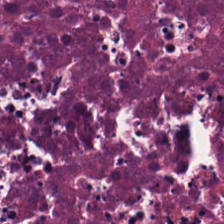H&E-stained tissue section; 0.5 µm per pixel — Q: What is the predominant tissue type?
A: It is cellular debris.
